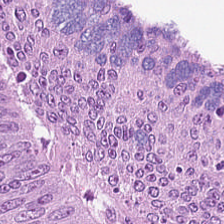H&E-stained tissue section.
{"tissue_type": "colorectal adenocarcinoma epithelium"}
